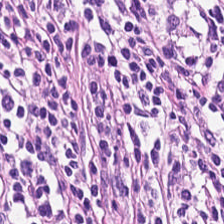H&E stain.
Lymphoid infiltrate.
